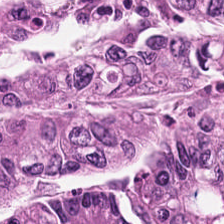Hematoxylin and eosin.
This patch shows colorectal adenocarcinoma epithelium.
